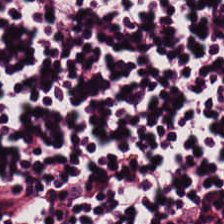Predominantly lymphoid infiltrate.
